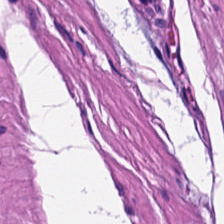Formalin-fixed paraffin-embedded section. Hematoxylin-and-eosin stained section. 224×224 px tile.
Q: What is shown here?
A: Smooth muscle.
